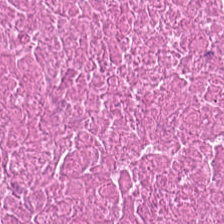H&E. FFPE tissue section. Finding — debris.
